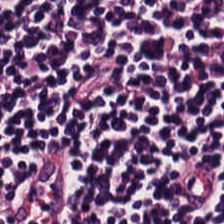Stain: H&E-stained tissue section.
Preparation: FFPE tissue section.
Predominant tissue: lymphocytes.
